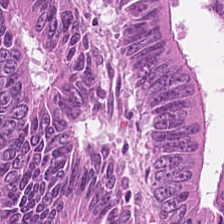This patch shows adenocarcinoma.
